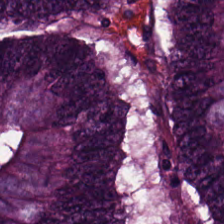H&E · whole-slide-image patch — {"tissue_type": "tumor epithelium"}
